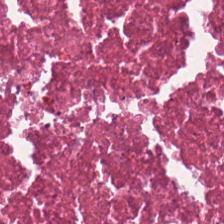H&E stain. Q: What type of tissue is this?
A: It is debris.
